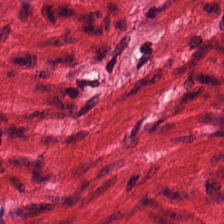H&E.
Tissue class — muscularis.
